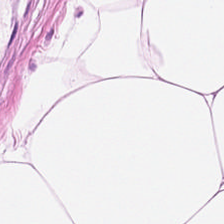H&E stain. 20× equivalent magnification. 224×224 pixel tile.
Q: What tissue is shown?
A: It is adipocytes.
